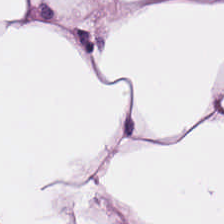Hematoxylin and eosin — Q: What is shown in this field?
A: The field shows fat tissue.
